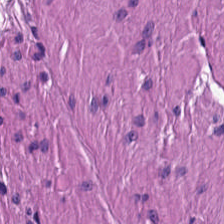This patch shows smooth-muscle tissue.
